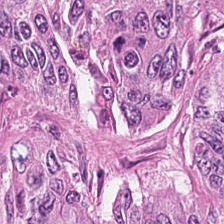Classification — tumor epithelium.
